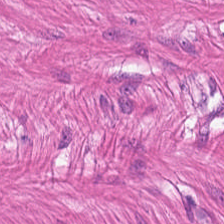Stain: hematoxylin-and-eosin stained section.
Classification: muscularis.
